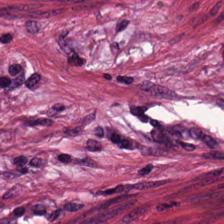Hematoxylin-and-eosin stained section — Showing tumor-associated stroma.
